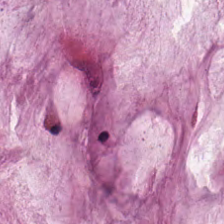Hematoxylin-and-eosin stained section. {"tissue_type": "mucin"}
